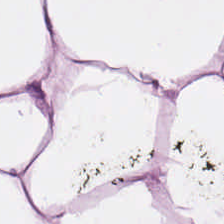Tissue type: adipocytes.
